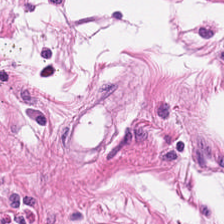Hematoxylin and eosin — Muscularis.
